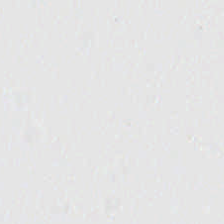No tissue present; background only.
